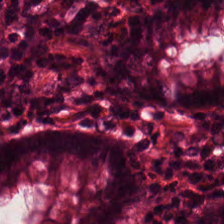224×224 pixel tile · FFPE · H&E-stained tissue section.
Non-neoplastic colon mucosa.
